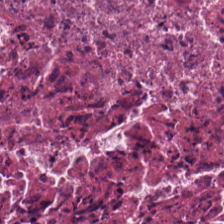H&E-stained section; the field shows cellular debris.
